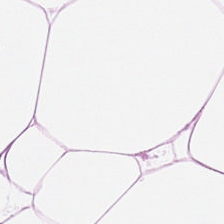H&E-stained tissue section. 224×224 px tile — The tissue here is adipocytes.
